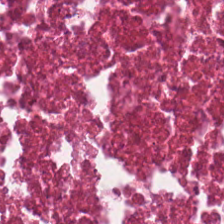Hematoxylin and eosin · brightfield microscopy.
Cellular debris.
